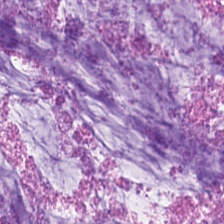Stain: H&E-stained tissue section.
Resolution: 0.5 µm/px.
Tissue class: mucin.
